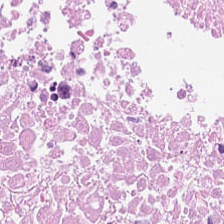H&E stain — Showing cellular debris.
